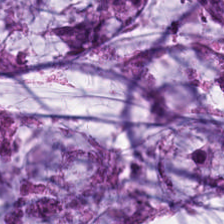Histology — extracellular mucin.
